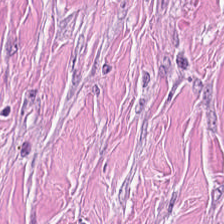H&E stain · 0.5 microns per pixel.
Predominant tissue: desmoplastic stroma.
